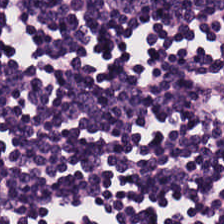H&E stain. 0.5 µm/px — {"tissue_type": "lymphocyte aggregate"}
